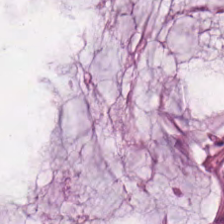Hematoxylin-and-eosin stained section. Q: What is shown here?
A: The field shows mucus.
